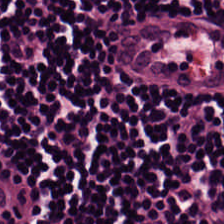Hematoxylin and eosin. Tissue type = lymphocytic infiltrate.
